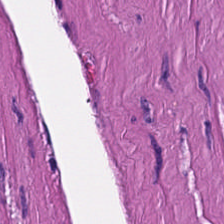H&E stain — Showing smooth muscle.
